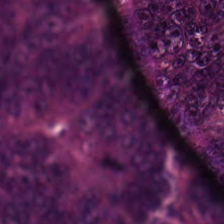H&E patch showing tumor epithelium.
